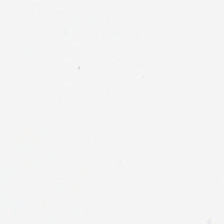Hematoxylin and eosin; 0.5 µm/px; 224×224 px tile — Empty field — empty background.
